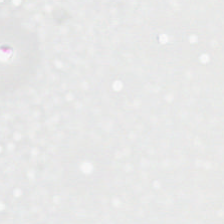H&E-stained tissue section. Q: Classify this patch.
A: Background.
